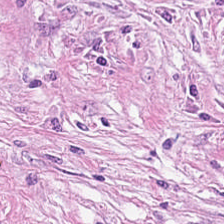H&E stain.
The tissue is tumor-associated stroma.
